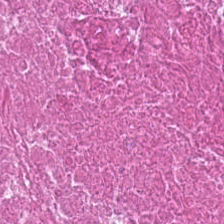Q: What type of tissue is this?
A: Cellular debris.
